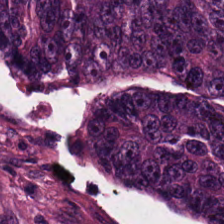H&E. Tumor epithelium.
